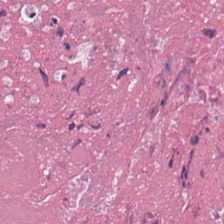Hematoxylin and eosin. Q: What tissue type is shown here?
A: The field shows cellular debris.
